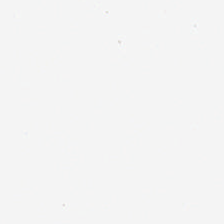224×224 px patch · H&E. Q: What does this patch show?
A: Empty background.
